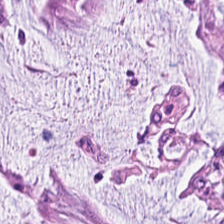Hematoxylin-and-eosin stained section. The predominant tissue is extracellular mucin.
